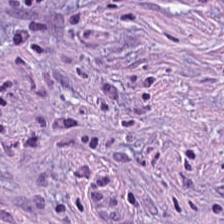Stain: H&E-stained tissue section.
Preparation: formalin-fixed paraffin-embedded section.
Tissue: desmoplastic stroma.
